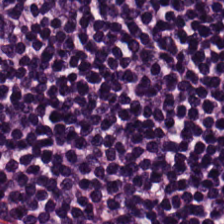H&E — Showing lymphocytic infiltrate.
